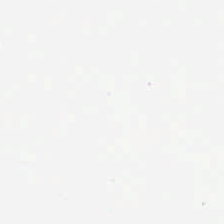H&E-stained tissue section.
Background (no tissue).
